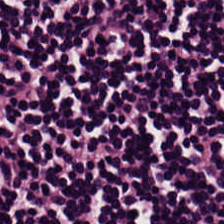Hematoxylin and eosin. Showing lymphocyte aggregate.
